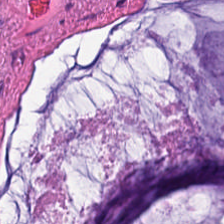H&E; 0.5 microns per pixel. This patch shows extracellular mucin.
